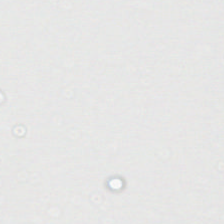{"content": "no tissue"}
